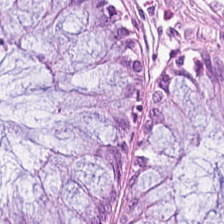H&E · 0.5 µm/px — Finding → normal colonic mucosa.
